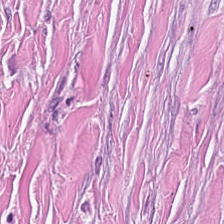WSI patch; H&E stain. The tissue type is tumor-associated stroma.
